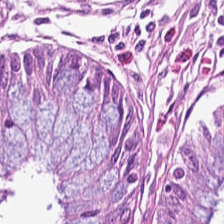H&E-stained tissue section. Q: What is shown in this field?
A: The field shows non-neoplastic colon mucosa.
